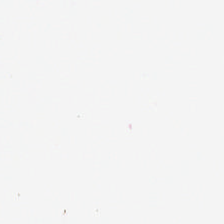Brightfield microscopy · hematoxylin and eosin.
Field content — no tissue.
